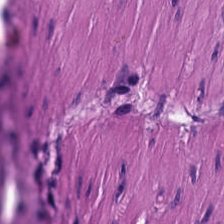Hematoxylin and eosin · WSI patch — Predominantly smooth-muscle tissue.
